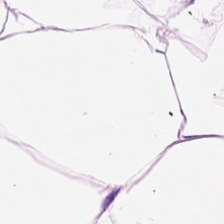H&E stain. Showing fat tissue.
